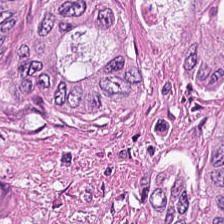Hematoxylin and eosin. Classification = malignant epithelium.
